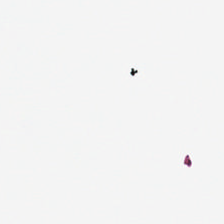H&E-stained tissue section · WSI patch. Empty field — background.
